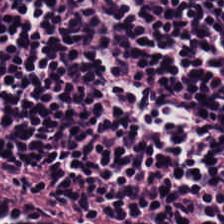Hematoxylin and eosin. Lymphocytic infiltrate.
